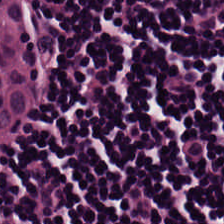Stain: hematoxylin-and-eosin stained section.
Tissue: lymphocytic infiltrate.
